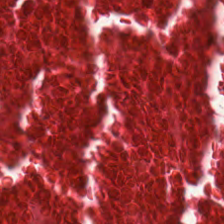Stain: hematoxylin and eosin.
Acquisition: whole-slide-image patch.
Classification: necrotic debris.
